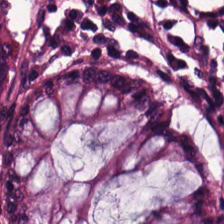Hematoxylin and eosin.
Q: What tissue type is shown here?
A: It is non-neoplastic colon mucosa.
